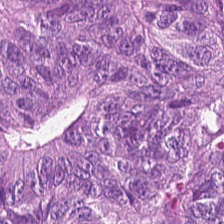H&E stain — Predominant tissue — colorectal adenocarcinoma epithelium.
